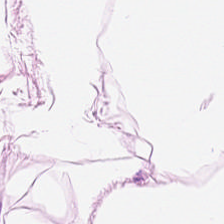Hematoxylin and eosin.
Predominant tissue = adipose.
